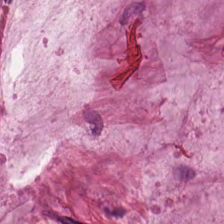Stain: H&E stain.
Tile size: 224×224 pixel tile.
Predominant tissue: extracellular mucin.
